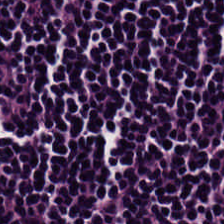Hematoxylin and eosin — Lymphocytes.
